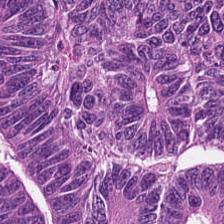224×224 px tile. Hematoxylin and eosin. Colorectal adenocarcinoma.
